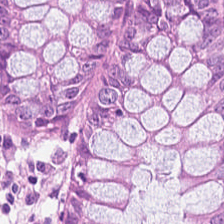Stain: hematoxylin-and-eosin stained section.
Classification: non-neoplastic colon mucosa.
